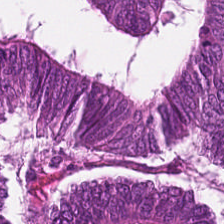Malignant epithelium.
